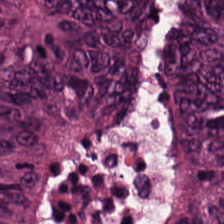Hematoxylin-and-eosin stained section. Predominantly malignant epithelium.
